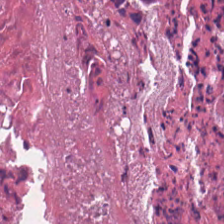H&E-stained tissue section. Tissue class — cellular debris.
